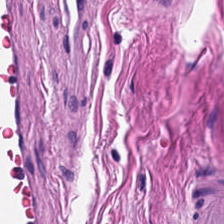H&E stain; 224×224 pixel tile; 0.5 µm/px.
Histology — muscularis.
